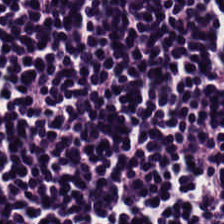H&E-stained tissue section. Classification: lymphoid infiltrate.
